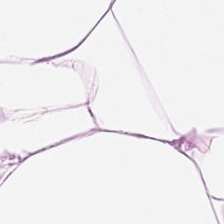H&E stain — Tissue type — adipose tissue.
